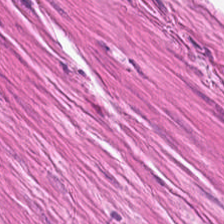224×224 px patch. H&E-stained tissue section. Whole-slide-image patch — Q: What does this patch show?
A: It is muscularis.
